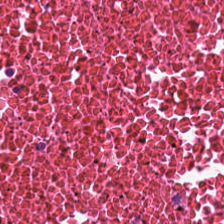Debris.
